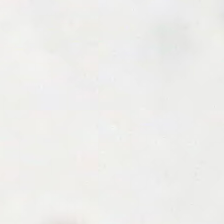Brightfield microscopy. H&E stain. Finding → background (no tissue).
